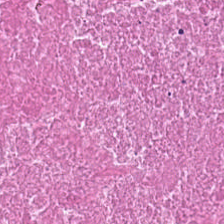{"tissue_type": "cellular debris"}
